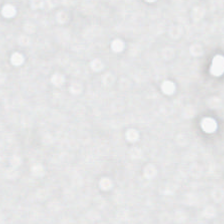H&E. {"content": "background (no tissue)"}
